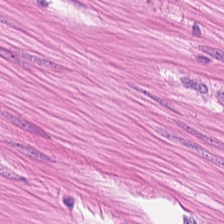Impression → muscularis.
